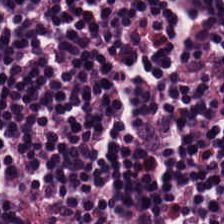Stain: hematoxylin and eosin.
Classification: lymphocyte aggregate.
